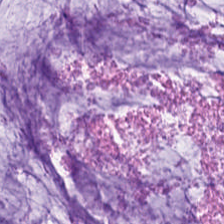FFPE tissue section. H&E — The classification is extracellular mucin.
